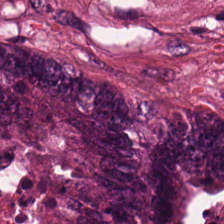H&E. The predominant tissue is cellular debris.
